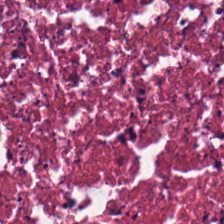Stain: H&E-stained tissue section.
Tile size: 224×224 px tile.
Tissue class: necrotic debris.
